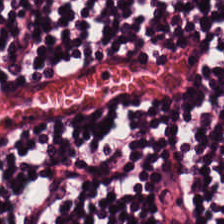H&E stain. Tissue class: lymphocytes.
